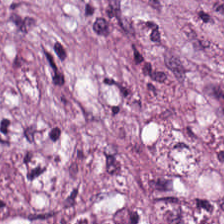Stain: hematoxylin-and-eosin stained section.
Resolution: 0.5 µm per pixel.
Predominant tissue: cancer-associated stroma.
